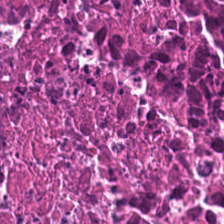Q: Identify the tissue.
A: This is necrotic debris.
